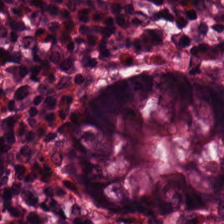Stain: hematoxylin-and-eosin stained section.
Tile size: 224×224 px patch.
Resolution: 0.5 microns per pixel.
Tissue class: normal colon mucosa.
